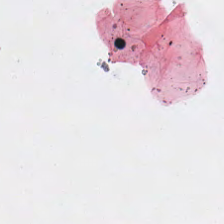Content = empty background.
